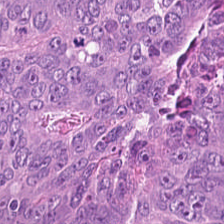FFPE; 224×224 px tile; hematoxylin and eosin. This field is colorectal adenocarcinoma.
